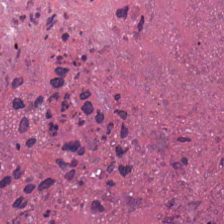H&E-stained tissue section.
The predominant tissue is cellular debris.
